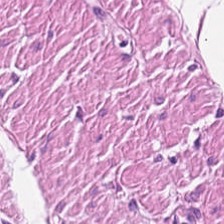H&E-stained tissue section. Q: What does this patch show?
A: Smooth muscle.
